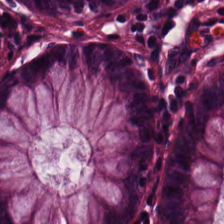Q: What tissue is shown?
A: It is non-neoplastic colon mucosa.
